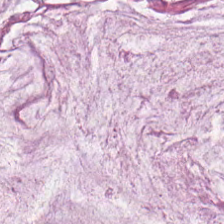Stain: hematoxylin and eosin.
Tissue: mucus.
